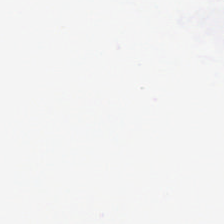Whole-slide-image patch; H&E — Q: What is shown here?
A: The field shows no tissue.
